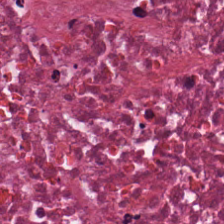H&E. Brightfield microscopy. 0.5 µm per pixel. The tissue here is debris.
